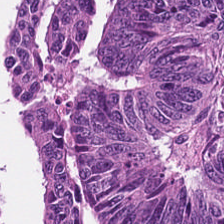Showing tumor epithelium.
